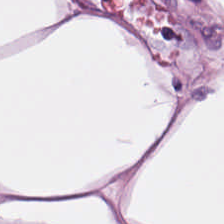224×224 pixel tile · H&E stain. The classification is adipose.
